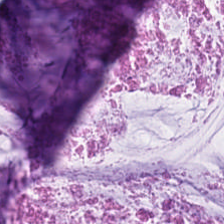Hematoxylin and eosin; 20× equivalent magnification. Showing mucin.
